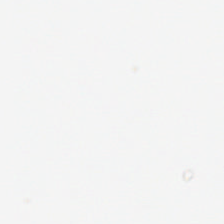H&E stain.
Histology — no tissue.
